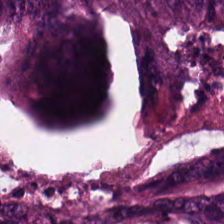Hematoxylin and eosin — This field is adenocarcinoma.
